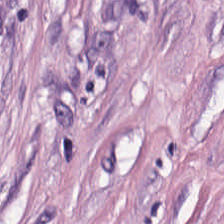H&E stain. 0.5 µm per pixel.
Showing tumor stroma.
